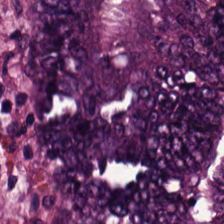H&E-stained tissue section.
This patch shows malignant epithelium.
